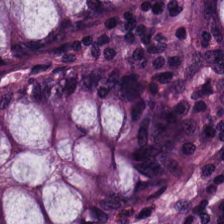H&E patch showing normal colon mucosa.
